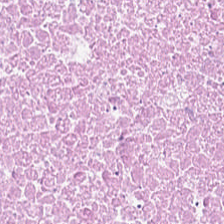H&E-stained tissue section. The tissue here is necrotic debris.
